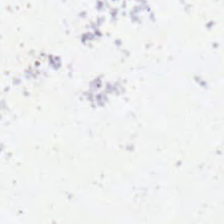WSI patch · hematoxylin and eosin — This patch shows empty background.
